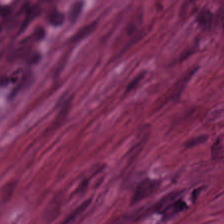Hematoxylin-and-eosin stained section. Tissue class: tumor-associated stroma.
